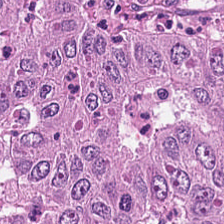Hematoxylin and eosin; 0.5 µm per pixel — Histology → adenocarcinoma.
